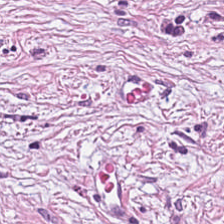Hematoxylin-and-eosin stained section · formalin-fixed paraffin-embedded section — The tissue here is desmoplastic stroma.
